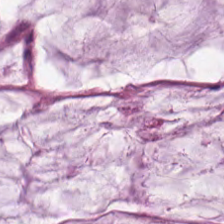{"tissue_type": "extracellular mucin"}
